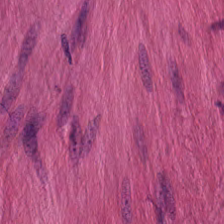Stain: H&E.
Acquisition: brightfield.
Classification: smooth-muscle tissue.
